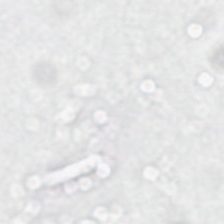224×224 px tile; H&E. Histology — no tissue.
